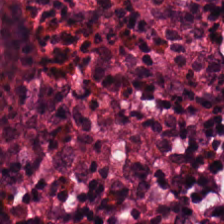Predominant tissue: normal colon mucosa.
